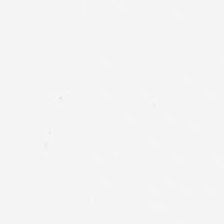224×224 pixel tile · hematoxylin-and-eosin stained section. Classification: no tissue.
